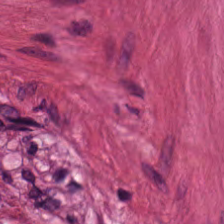Tissue class: smooth-muscle tissue.
